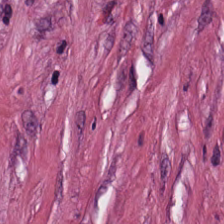H&E.
This field is cancer-associated stroma.
